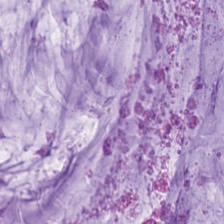Hematoxylin and eosin.
This patch shows mucin.
